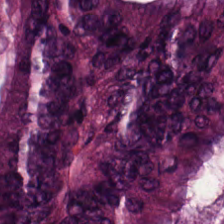H&E stain. 0.5 µm per pixel.
Predominantly adenocarcinoma.
